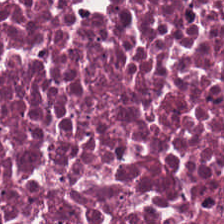H&E.
Q: What is shown here?
A: It is cellular debris.
